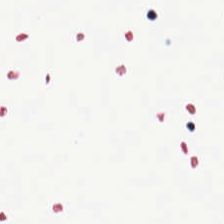H&E stain. Q: What is shown here?
A: Background.
